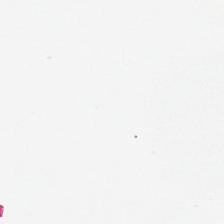Stain: hematoxylin and eosin.
Resolution: 0.5 µm/px.
Tile size: 224×224 pixel tile.
Field content: no tissue.
